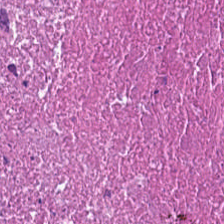Hematoxylin-and-eosin section: necrotic debris.
